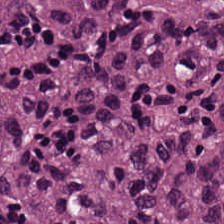Tissue: colorectal adenocarcinoma.
